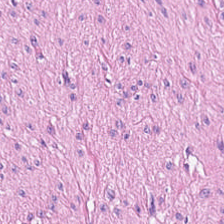Formalin-fixed paraffin-embedded section; hematoxylin and eosin. Predominantly smooth-muscle tissue.
